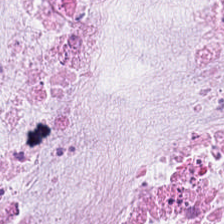H&E · FFPE. Histology → extracellular mucin.
